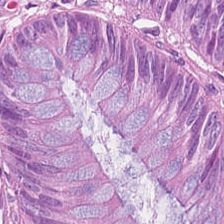H&E stain. Finding — adenocarcinoma.
